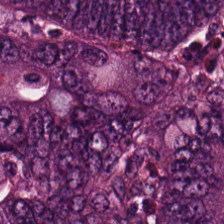Predominantly malignant epithelium.
